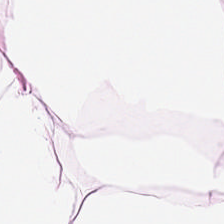H&E stain · 224×224 px patch. Tissue class = fat tissue.
